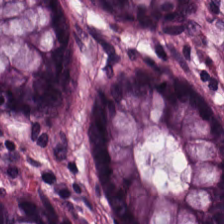Formalin-fixed paraffin-embedded section. Brightfield. Hematoxylin-and-eosin stained section. {"tissue_type": "benign colonic mucosa"}
